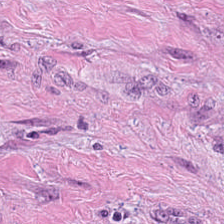Hematoxylin-and-eosin stained section.
The predominant tissue is tumor-associated stroma.
